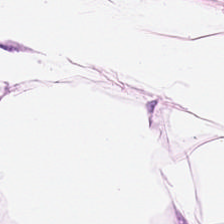Hematoxylin and eosin. 0.5 microns per pixel. FFPE — Tissue type = adipose tissue.
